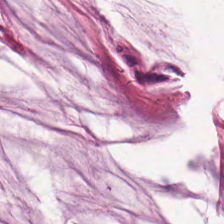224×224 pixel tile. 20× equivalent magnification. H&E.
Showing mucin.
